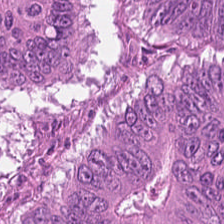Tissue — tumor epithelium.
